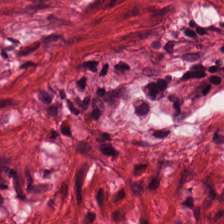Stain: hematoxylin-and-eosin stained section.
Tissue class: smooth muscle.
